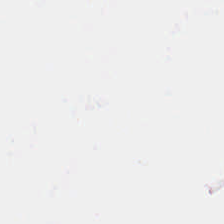Hematoxylin-and-eosin stained section. WSI patch.
Finding → background.
